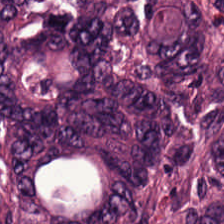Stain: H&E-stained tissue section.
Preparation: formalin-fixed paraffin-embedded section.
Classification: malignant epithelium.
